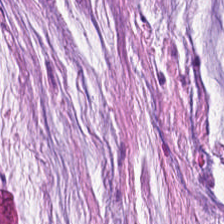Histology → mucus.
